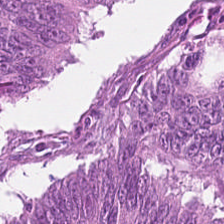224×224 pixel tile; H&E-stained tissue section; FFPE — Q: What tissue is shown?
A: The field shows colorectal adenocarcinoma.
